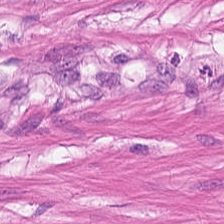Hematoxylin-and-eosin stained section. 0.5 µm per pixel — Tissue class — smooth-muscle tissue.
